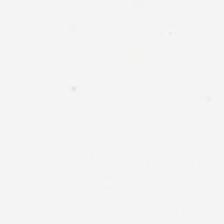Hematoxylin and eosin.
Background.
